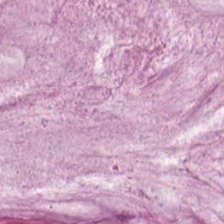Stain: hematoxylin-and-eosin stained section.
Classification: mucin.
